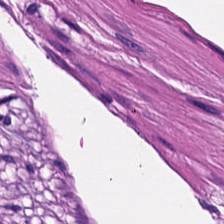Hematoxylin and eosin — The tissue here is muscularis.
